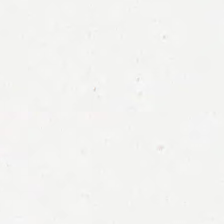H&E stain.
This field is background (no tissue).
